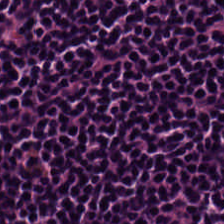Formalin-fixed paraffin-embedded section; H&E-stained tissue section. Tissue class: lymphocytic infiltrate.
